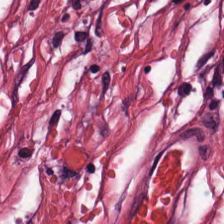224×224 px patch. Hematoxylin-and-eosin stained section. Brightfield.
Q: What tissue is shown?
A: It is tumor stroma.
